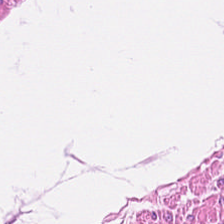H&E; 0.5 µm per pixel; formalin-fixed paraffin-embedded section. Predominantly smooth-muscle tissue.
